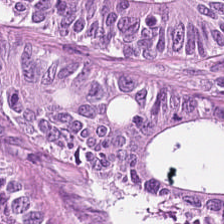This patch shows adenocarcinoma.
